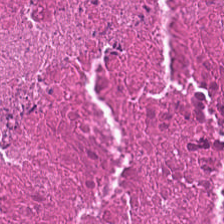Hematoxylin-and-eosin section: necrotic debris.
